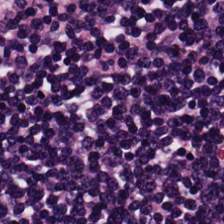Stain: hematoxylin-and-eosin stained section.
Preparation: FFPE.
Classification: lymphocyte aggregate.
